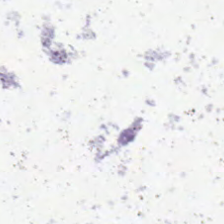H&E stain. 0.5 µm/px. FFPE — Background — no tissue in this field.
